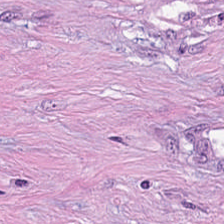Hematoxylin and eosin · FFPE · 224×224 px tile — Predominantly desmoplastic stroma.
